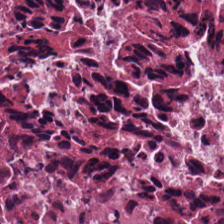224×224 px tile; 0.5 microns per pixel; hematoxylin and eosin.
Tissue: necrotic debris.
